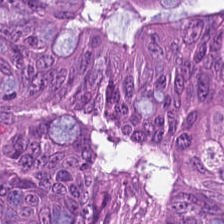Impression → colorectal adenocarcinoma epithelium.
